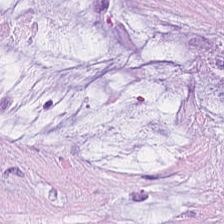H&E stain — Tissue = mucin.
